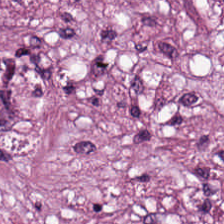224×224 pixel tile · hematoxylin-and-eosin stained section.
Predominantly desmoplastic stroma.
